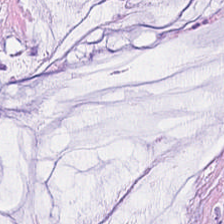Hematoxylin-and-eosin stained section.
Showing mucin.
